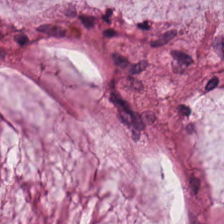H&E-stained tissue section. Tissue: mucus.
